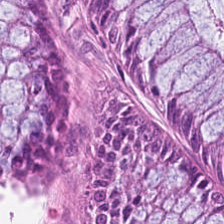Hematoxylin-and-eosin stained section · formalin-fixed paraffin-embedded section — {"tissue_type": "normal colon mucosa"}
